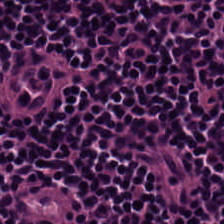H&E-stained tissue section.
Histology — lymphocyte aggregate.
